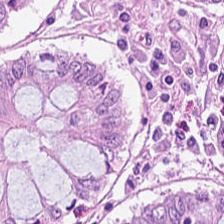Stain: H&E-stained tissue section.
Tissue type: normal colon mucosa.
